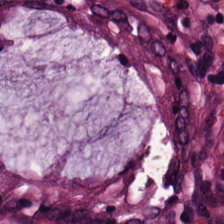Stain: H&E-stained tissue section.
Predominant tissue: non-neoplastic colon mucosa.
